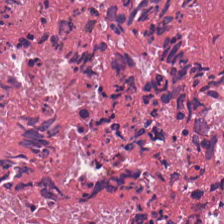Histology — cellular debris.
